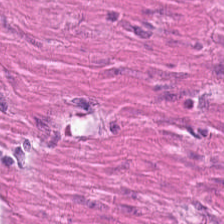224×224 px patch; H&E; 20× equivalent magnification. Showing muscularis.
